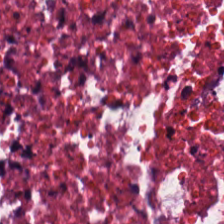H&E.
This field is cellular debris.
